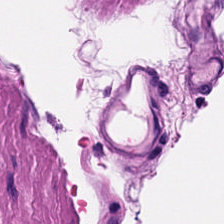Tissue — smooth-muscle tissue.
